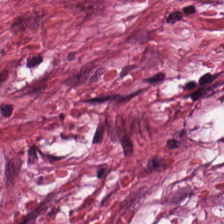0.5 µm per pixel · hematoxylin and eosin · WSI patch — The predominant tissue is desmoplastic stroma.
